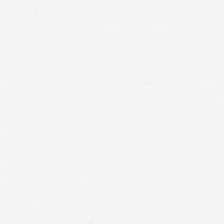Hematoxylin and eosin.
Q: Classify this patch.
A: It is no tissue.
